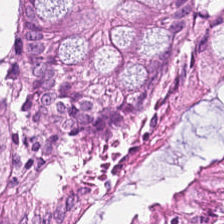Hematoxylin and eosin.
The classification is normal colonic mucosa.
